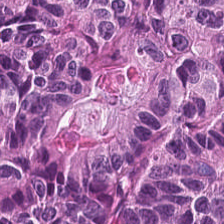Formalin-fixed paraffin-embedded section. H&E. Showing malignant epithelium.
